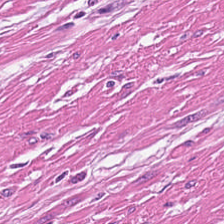H&E-stained tissue section. Q: What tissue is shown?
A: It is muscularis.
